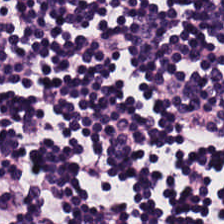H&E · FFPE tissue section — Q: What is the predominant tissue type?
A: The field shows lymphocytes.
